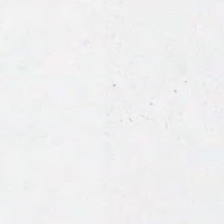This patch shows background (no tissue).
